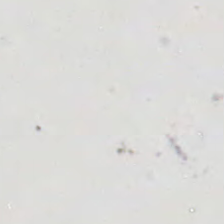Hematoxylin-and-eosin stained section.
Finding → no tissue.
